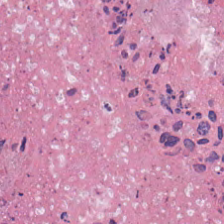Cellular debris.
